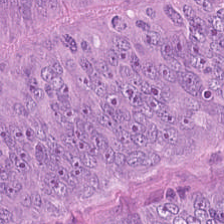Stain: hematoxylin and eosin.
Tissue: adenocarcinoma.
